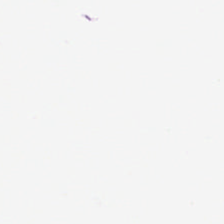Classification: no tissue.
